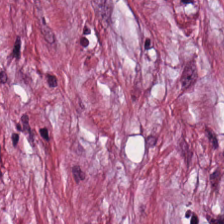H&E — Tissue = tumor-associated stroma.
